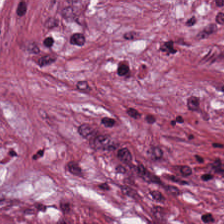Predominant tissue: tumor stroma.
